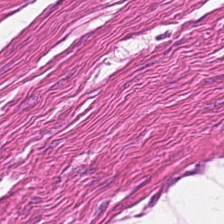Hematoxylin-and-eosin stained section — Impression → muscularis.
